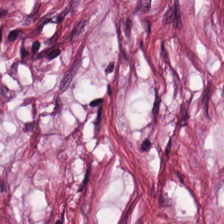H&E-stained tissue section · 224×224 pixel tile.
Predominantly tumor-associated stroma.
